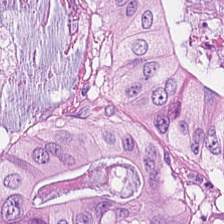Q: What is shown in this field?
A: This is tumor epithelium.
